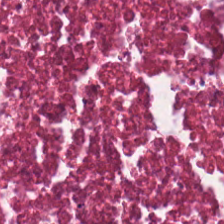Stain: H&E stain.
Tissue type: cellular debris.
